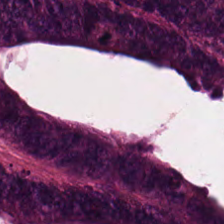Histology → colorectal adenocarcinoma epithelium.
